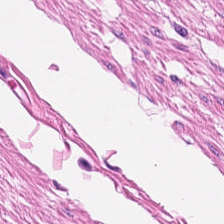Predominant tissue — smooth muscle.
